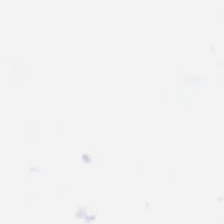H&E-stained tissue section. 0.5 µm per pixel. Field content = empty background.
